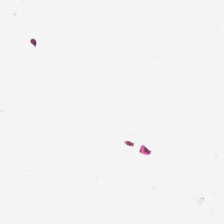224×224 px tile. Hematoxylin and eosin. Brightfield microscopy.
The content is background.
